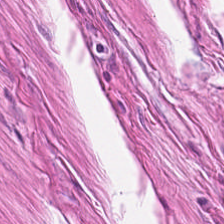Showing smooth muscle.
